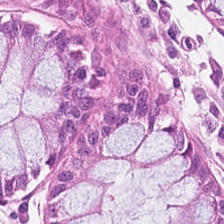Tissue class: normal colon mucosa.
